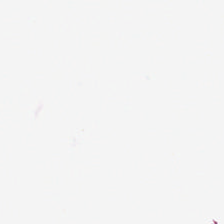0.5 microns per pixel. Formalin-fixed paraffin-embedded section. H&E stain — Content: background (no tissue).
